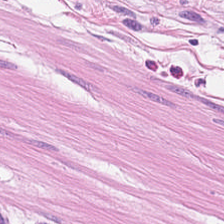224×224 px patch. H&E-stained tissue section. Finding → smooth muscle.
